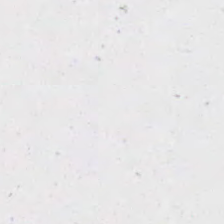Stain: H&E.
Content: empty background.
